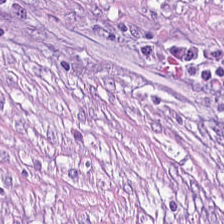FFPE; H&E stain. Histology — desmoplastic stroma.
